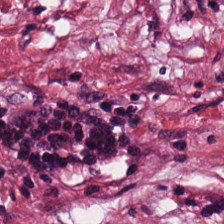The predominant tissue is tumor-associated stroma.
